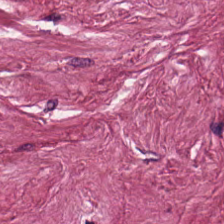Formalin-fixed paraffin-embedded section. H&E stain. Tissue type: desmoplastic stroma.
